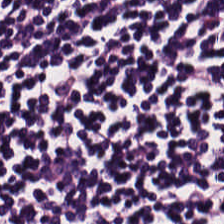Hematoxylin-and-eosin stained section. Q: What tissue type is shown here?
A: The field shows lymphocyte aggregate.
